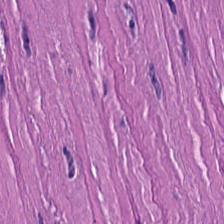H&E — Q: Classify this patch.
A: This is smooth-muscle tissue.
